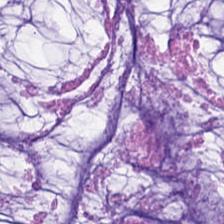Hematoxylin and eosin. Q: What tissue type is shown here?
A: It is mucus.
